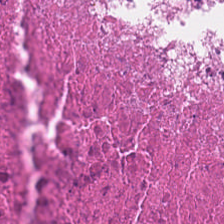H&E stain — Tissue type: necrotic debris.
